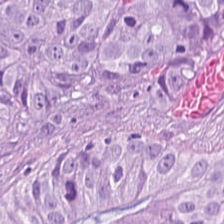This patch shows tumor epithelium.
